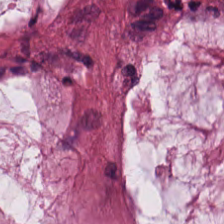20× equivalent magnification. H&E stain. This patch shows mucin.
